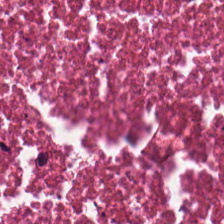Hematoxylin-and-eosin stained section. {"tissue_type": "necrotic debris"}
